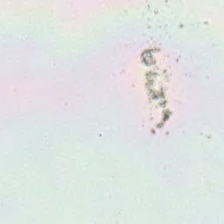Hematoxylin and eosin.
This patch shows background (no tissue).
